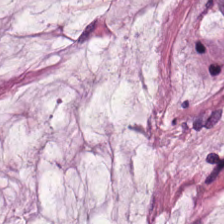H&E stain.
Q: What tissue is shown?
A: The field shows extracellular mucin.
